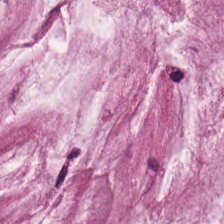Extracellular mucin.
